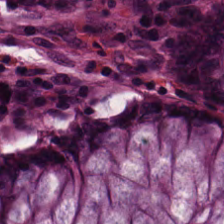Hematoxylin-and-eosin stained section · formalin-fixed paraffin-embedded section · 20× equivalent magnification — Normal colonic mucosa.
